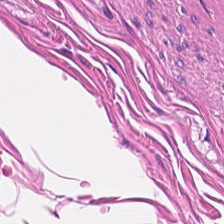Hematoxylin and eosin; 224×224 px tile. This field is muscularis.
